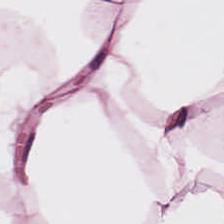H&E-stained tissue section. Tissue type — adipocytes.
